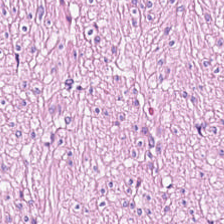H&E-stained tissue section · 224×224 px tile — The tissue is muscularis.
